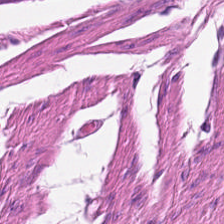Stain: H&E.
Classification: muscularis.
